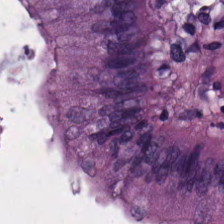H&E-stained tissue section showing normal colonic mucosa.
